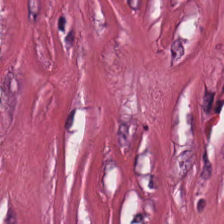20× equivalent magnification. Hematoxylin-and-eosin stained section. This field is tumor-associated stroma.
